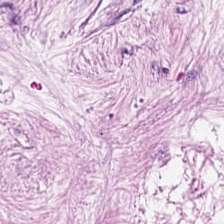Stain: H&E-stained tissue section.
Classification: tumor-associated stroma.
